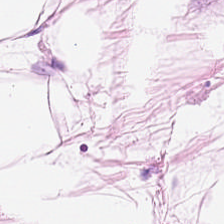H&E-stained tissue section. This patch shows adipose tissue.
